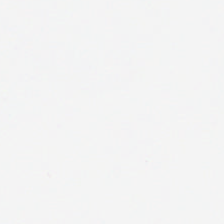H&E-stained tissue section.
Histology — background.
